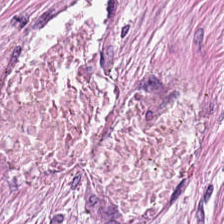Stain: H&E-stained tissue section.
Preparation: formalin-fixed paraffin-embedded section.
Acquisition: brightfield.
Tissue type: tumor-associated stroma.
